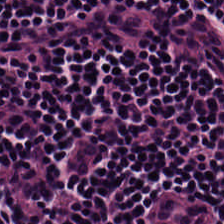Stain: H&E-stained tissue section.
Tissue: lymphocytes.
